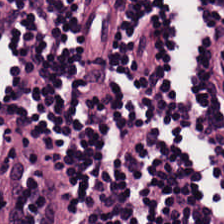H&E. Q: Classify this patch.
A: It is lymphoid infiltrate.
